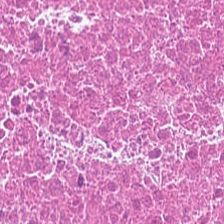H&E-stained tissue section. Tissue type — cellular debris.
